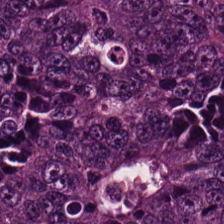Tissue: colorectal adenocarcinoma epithelium.
